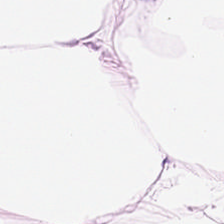H&E. Showing adipose tissue.
